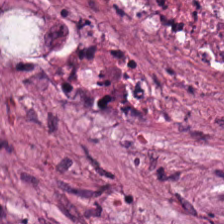This field is necrotic debris.
